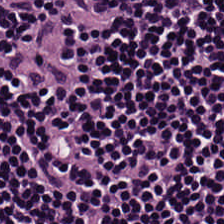Brightfield; H&E stain. Q: What tissue type is shown here?
A: The field shows lymphoid infiltrate.
